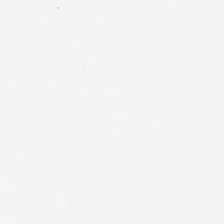H&E — Field content = no tissue.
